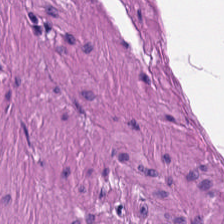Histology → smooth-muscle tissue.
